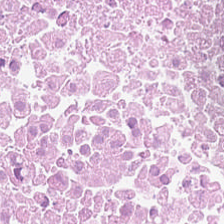H&E stain.
Q: What type of tissue is this?
A: It is debris.
